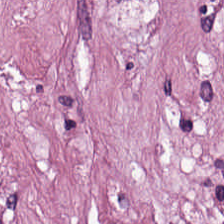Finding → tumor-associated stroma.
